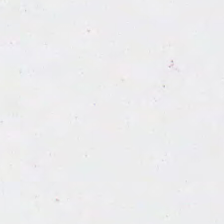Hematoxylin-and-eosin stained section; 224×224 px patch. Histology → background.
